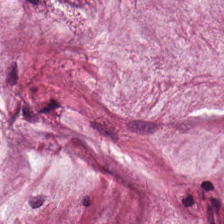Stain: H&E stain.
Preparation: FFPE.
Resolution: 0.5 µm/px.
Classification: extracellular mucin.
